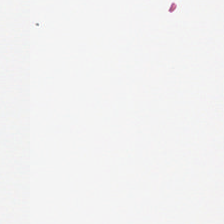Stain: H&E.
Content: background.
